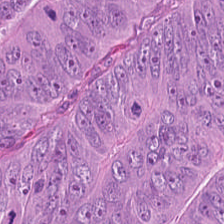The tissue class is colorectal adenocarcinoma.
